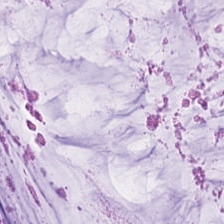{"tissue_type": "extracellular mucin"}
